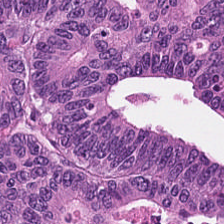Stain: H&E.
Tile size: 224×224 px tile.
Classification: malignant epithelium.
